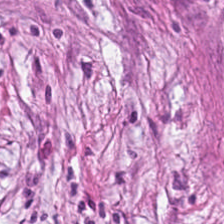The tissue here is tumor-associated stroma.
